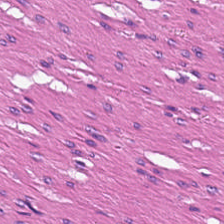H&E-stained tissue section. Classification = smooth muscle.
